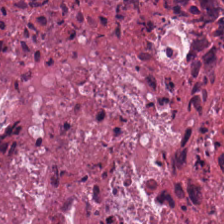Hematoxylin-and-eosin stained section — This patch shows cellular debris.
